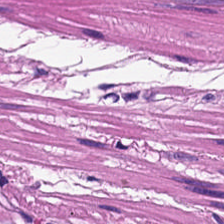H&E-stained tissue section.
Predominant tissue — smooth-muscle tissue.
